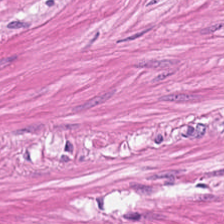This field is smooth muscle.
